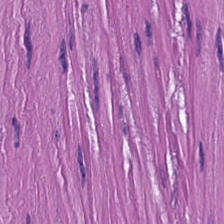Hematoxylin and eosin — Predominantly smooth-muscle tissue.
